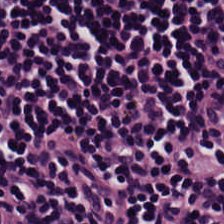Hematoxylin-and-eosin stained section — Lymphocyte aggregate.
